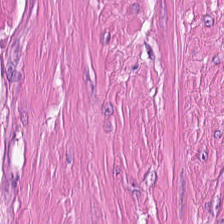Hematoxylin-and-eosin stained section — The classification is muscularis.
